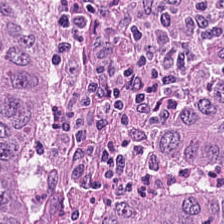Formalin-fixed paraffin-embedded section; H&E-stained tissue section — Tissue type: colorectal adenocarcinoma.
